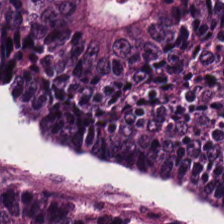H&E · 0.5 microns per pixel. The tissue is malignant epithelium.
